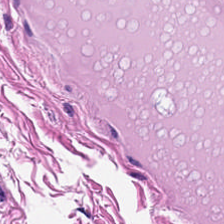Hematoxylin-and-eosin stained section. Q: What is shown in this field?
A: It is smooth-muscle tissue.
